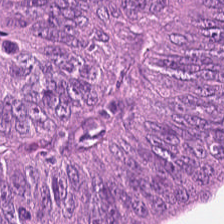H&E stain.
This field is colorectal adenocarcinoma.
